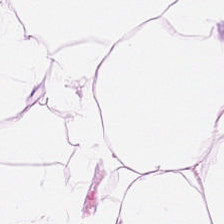Stain: H&E-stained tissue section.
Preparation: formalin-fixed paraffin-embedded section.
Tissue type: adipose tissue.
